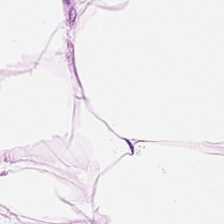FFPE tissue section; hematoxylin-and-eosin stained section.
Tissue type — adipocytes.
